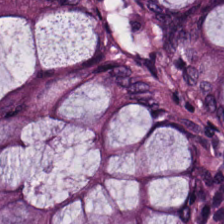Hematoxylin-and-eosin stained section. Q: What does this patch show?
A: This is non-neoplastic colon mucosa.
